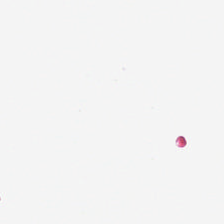No tissue present; background only.
